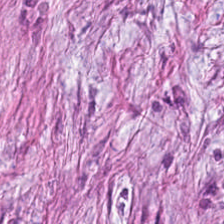Stain: hematoxylin-and-eosin stained section.
Classification: tumor-associated stroma.
